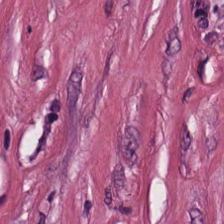H&E. Tissue type — desmoplastic stroma.
